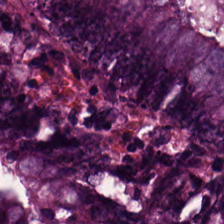H&E stain.
Finding — colorectal adenocarcinoma.
